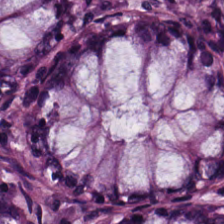Hematoxylin-and-eosin stained section. The tissue here is benign colonic mucosa.
